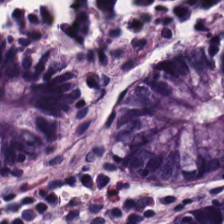H&E.
Tissue type: non-neoplastic colon mucosa.
